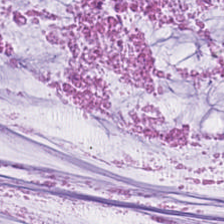Hematoxylin and eosin · brightfield. The tissue class is extracellular mucin.
